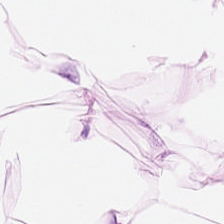H&E. Showing fat tissue.
